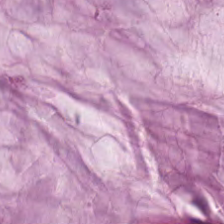H&E stain — Q: What type of tissue is this?
A: It is mucus.
